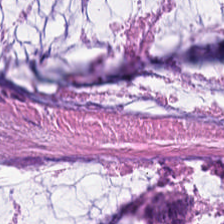Brightfield. H&E-stained tissue section. 0.5 µm per pixel. The classification is extracellular mucin.
